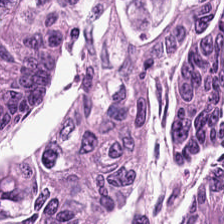Hematoxylin-and-eosin stained section. {"tissue_type": "malignant epithelium"}
